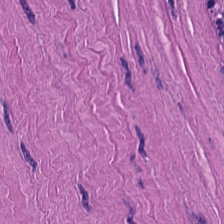H&E-stained tissue section — Smooth muscle.
